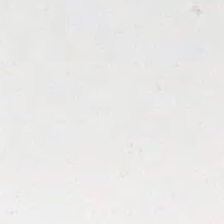Q: What is shown in this field?
A: It is background.
